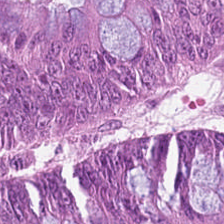Stain: H&E-stained tissue section.
Predominant tissue: adenocarcinoma.
